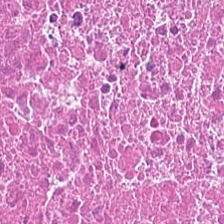WSI patch · H&E-stained tissue section. Tissue = debris.
